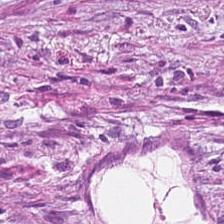Hematoxylin-and-eosin stained section. Predominantly desmoplastic stroma.
